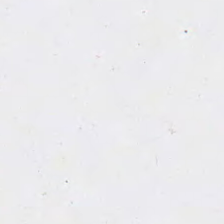H&E.
The classification is empty background.
